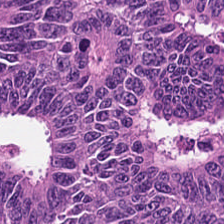The tissue type is malignant epithelium.
